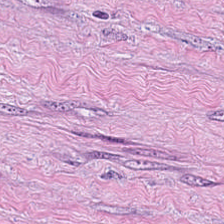H&E-stained tissue section — The classification is cancer-associated stroma.
